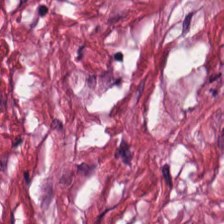Q: What type of tissue is this?
A: The field shows tumor stroma.
